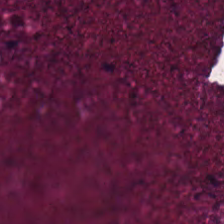Stain: H&E stain.
Classification: debris.
